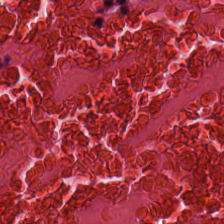Tissue type: cellular debris.
